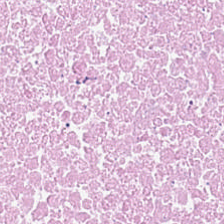Stain: H&E-stained tissue section.
Tissue type: necrotic debris.
